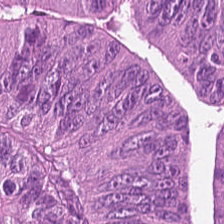H&E stain.
Classification: tumor epithelium.
